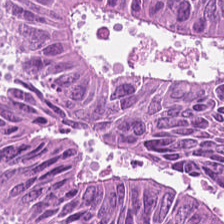H&E-stained tissue section — Q: What type of tissue is this?
A: Adenocarcinoma.
